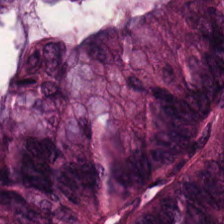H&E stain — Q: What is shown here?
A: This is tumor epithelium.
